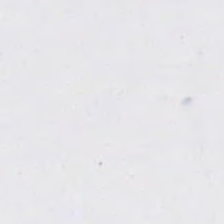20× equivalent magnification; H&E — Background — no tissue in this field.
